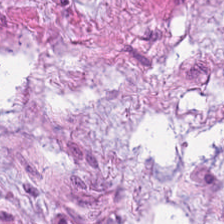H&E — Showing muscularis.
